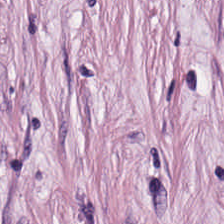H&E-stained tissue section; FFPE; brightfield microscopy.
Predominantly tumor stroma.
